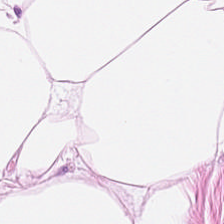Hematoxylin-and-eosin stained section — Predominantly adipose.
